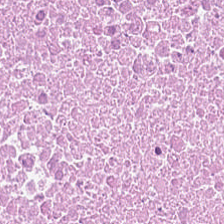Q: What does this patch show?
A: Cellular debris.
